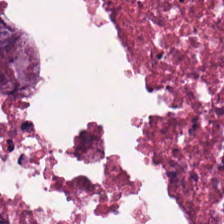224×224 px patch; formalin-fixed paraffin-embedded section; H&E.
Cellular debris.
